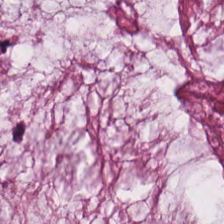H&E stain · brightfield — Tissue = mucus.
